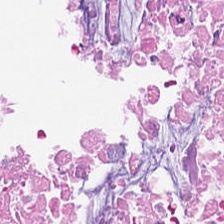H&E — necrotic debris.
